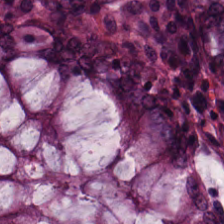Hematoxylin and eosin. Q: What does this patch show?
A: This is benign colonic mucosa.
